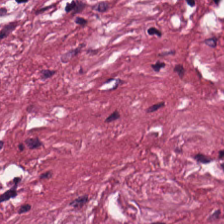Hematoxylin-and-eosin stained section. 0.5 µm per pixel. Tissue type = desmoplastic stroma.
